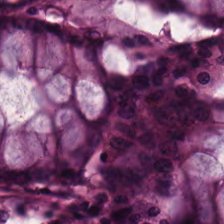Stain: H&E stain.
Predominant tissue: normal colon mucosa.
